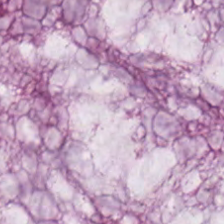H&E-stained tissue section; 224×224 px patch. Q: What type of tissue is this?
A: The field shows mucin.
